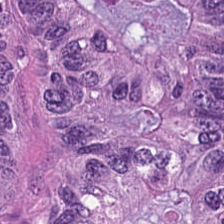Hematoxylin-and-eosin stained section.
Predominantly malignant epithelium.
